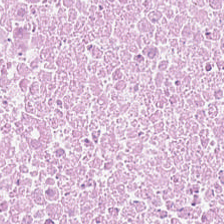H&E stain.
Showing necrotic debris.
